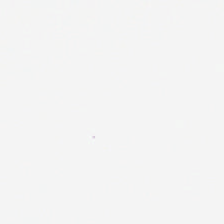H&E-stained tissue section.
The classification is background.
